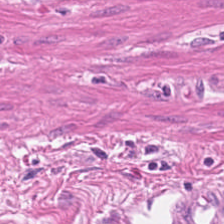H&E. Q: What is shown in this field?
A: The field shows muscularis.
